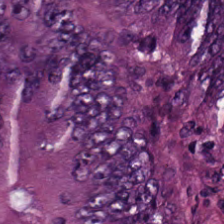Hematoxylin and eosin — Q: What is shown in this field?
A: The field shows colorectal adenocarcinoma.
